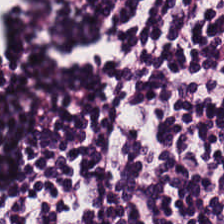H&E; 0.5 microns per pixel — Q: What is shown here?
A: It is lymphocytic infiltrate.
